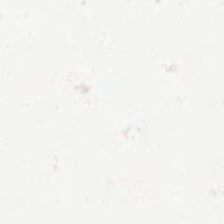Stain: H&E stain.
Acquisition: brightfield.
Field content: no tissue.
